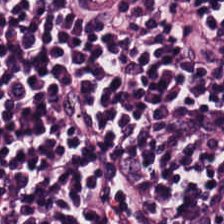Hematoxylin and eosin. Impression — lymphoid infiltrate.
